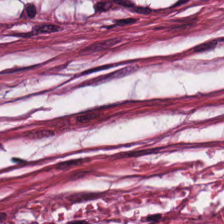0.5 µm/px. 224×224 px tile. Hematoxylin and eosin. Predominantly cancer-associated stroma.
